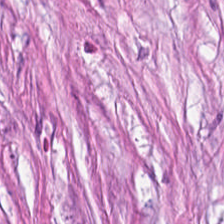Hematoxylin-and-eosin stained section. This field is cancer-associated stroma.
